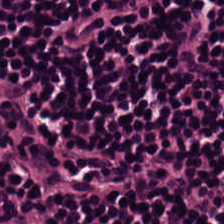Q: What is shown here?
A: This is lymphocytic infiltrate.
